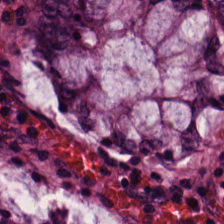Formalin-fixed paraffin-embedded section. Whole-slide-image patch. Hematoxylin-and-eosin stained section.
The predominant tissue is normal colonic mucosa.
